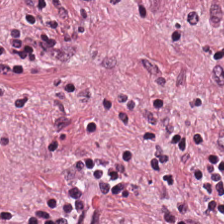Brightfield · H&E-stained tissue section. The tissue is tumor stroma.
